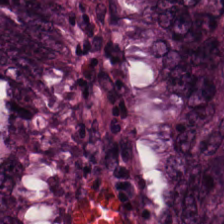224×224 px tile; H&E; whole-slide-image patch. The tissue here is colorectal adenocarcinoma epithelium.
